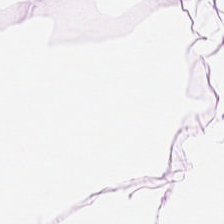H&E.
Finding — fat tissue.
